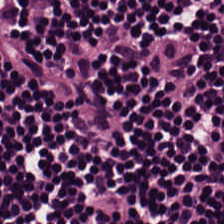WSI patch; H&E; 0.5 µm per pixel. Showing lymphocyte aggregate.
